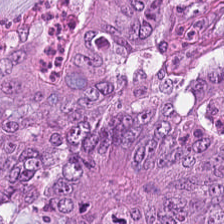The predominant tissue is tumor epithelium.
